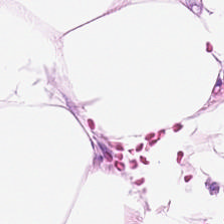H&E — Histology → fat tissue.
